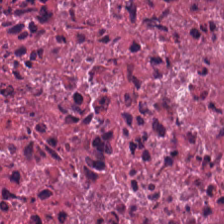H&E. Tissue — cellular debris.
